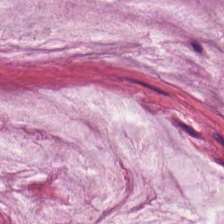224×224 px tile · hematoxylin and eosin · formalin-fixed paraffin-embedded section.
The tissue is mucin.
